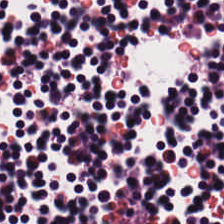FFPE. Hematoxylin and eosin.
Q: What type of tissue is this?
A: The field shows lymphoid infiltrate.
